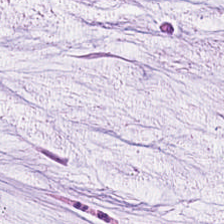Hematoxylin-and-eosin section: mucus.
